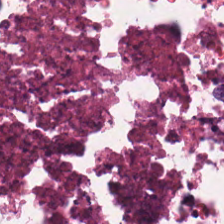Impression → cellular debris.
